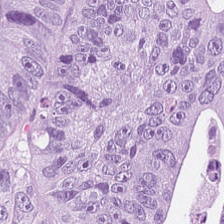Finding → colorectal adenocarcinoma epithelium.
